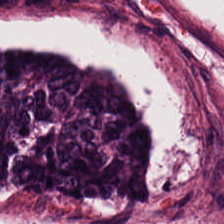Hematoxylin and eosin. Showing adenocarcinoma.
